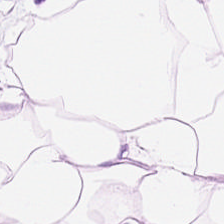H&E stain.
This field is fat tissue.
